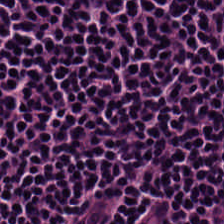H&E stain.
Classification — lymphocytes.
